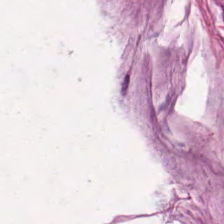Hematoxylin-and-eosin stained section. Mucus.
